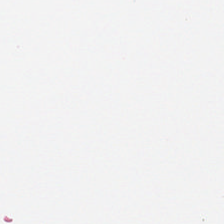Background — no tissue in this field.
